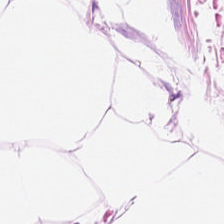0.5 µm per pixel; H&E stain.
{"tissue_type": "adipose"}
